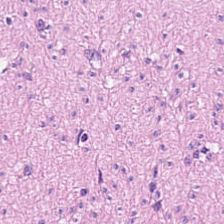Stain: H&E stain.
Classification: smooth muscle.
